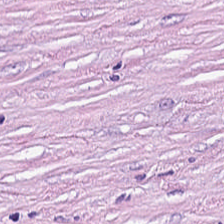H&E-stained tissue section. Tissue: tumor-associated stroma.
